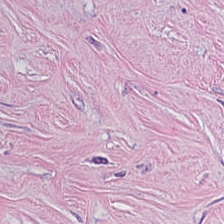Hematoxylin and eosin. {"tissue_type": "tumor stroma"}
